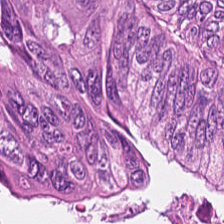0.5 µm per pixel; brightfield; hematoxylin-and-eosin stained section.
Finding — adenocarcinoma.
